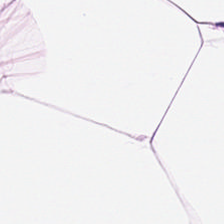20× equivalent magnification; hematoxylin and eosin.
Q: What tissue is shown?
A: It is adipose.
